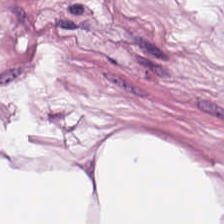0.5 µm per pixel; H&E-stained tissue section; 224×224 px tile.
Q: What tissue type is shown here?
A: It is adipocytes.
